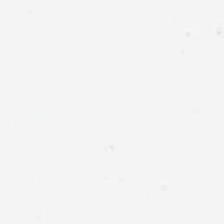0.5 microns per pixel; hematoxylin-and-eosin stained section. This patch shows background (no tissue).
